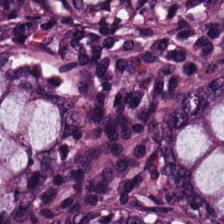Stain: H&E.
Preparation: FFPE.
Classification: normal colon mucosa.
